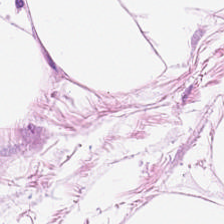Formalin-fixed paraffin-embedded section. H&E. Predominant tissue: fat tissue.
